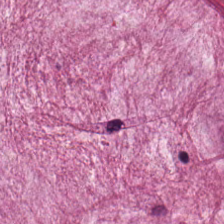0.5 µm per pixel; H&E; 224×224 pixel tile. Impression → extracellular mucin.
